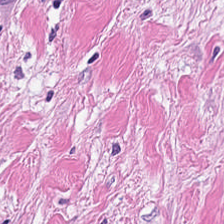H&E stain. Q: What is shown in this field?
A: The field shows desmoplastic stroma.
